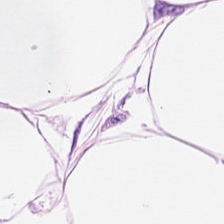H&E-stained tissue section — {"tissue_type": "fat tissue"}
